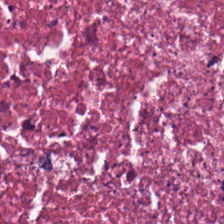H&E. Tissue = debris.
